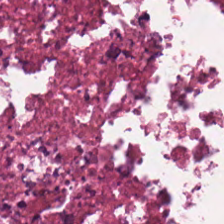H&E.
This patch shows necrotic debris.
